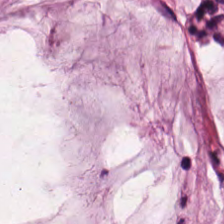H&E. The tissue here is mucin.
